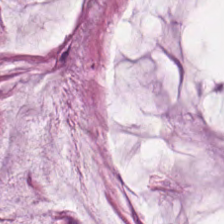This field is mucus.
